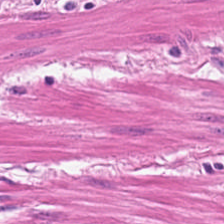Stain: hematoxylin-and-eosin stained section.
Predominant tissue: smooth muscle.
